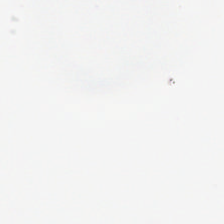Q: What does this patch show?
A: It is no tissue.
